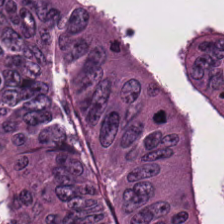Stain: hematoxylin-and-eosin stained section.
Predominant tissue: tumor epithelium.
